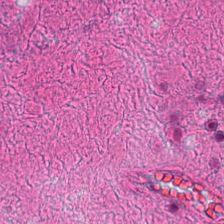{"tissue_type": "debris"}
